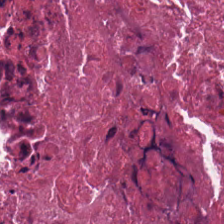H&E-stained tissue section.
The predominant tissue is debris.
